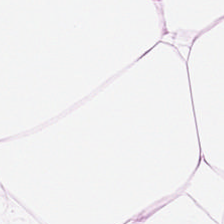Hematoxylin-and-eosin stained section · whole-slide-image patch. Showing fat tissue.
